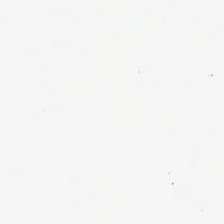Brightfield. H&E. Q: What does this patch show?
A: This is empty background.
